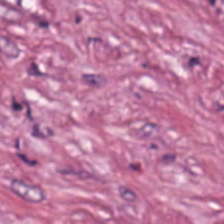Finding → cancer-associated stroma.
